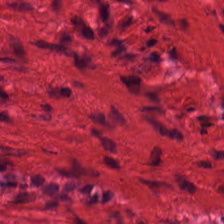H&E-stained tissue section; FFPE tissue section; 0.5 µm/px — Tissue = smooth-muscle tissue.
